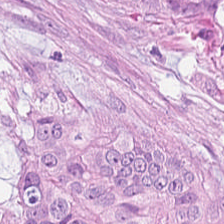H&E-stained tissue section. 0.5 µm per pixel. 224×224 px tile.
Tissue type = adenocarcinoma.
